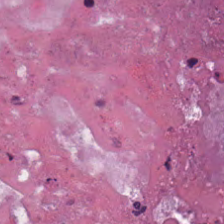FFPE. 224×224 px patch. Hematoxylin-and-eosin stained section. Q: What tissue type is shown here?
A: This is necrotic debris.
